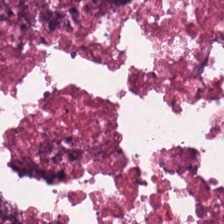Stain: hematoxylin-and-eosin stained section.
Tissue type: cellular debris.
